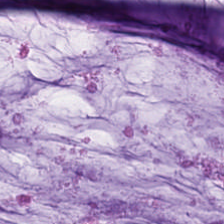H&E-stained tissue section; 224×224 px patch. This field is extracellular mucin.
